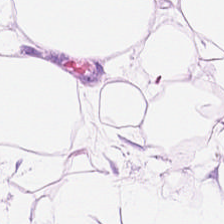H&E-stained tissue section; brightfield.
The tissue here is adipose.
